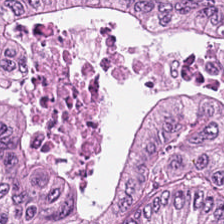The tissue here is colorectal adenocarcinoma.
